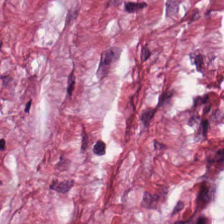Hematoxylin and eosin · 0.5 µm per pixel. Classification — tumor stroma.
